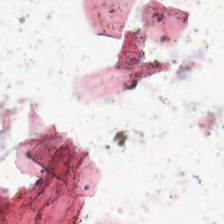0.5 microns per pixel. Hematoxylin-and-eosin stained section.
Q: What does this patch show?
A: No tissue.
